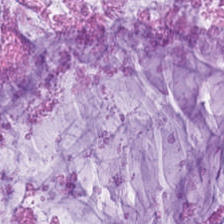H&E. Impression — extracellular mucin.
